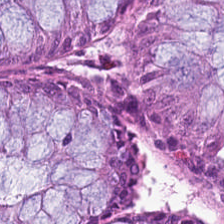H&E stain; brightfield.
This field is non-neoplastic colon mucosa.
